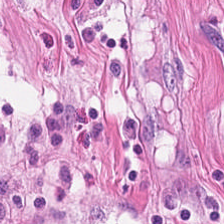H&E patch showing smooth muscle.
